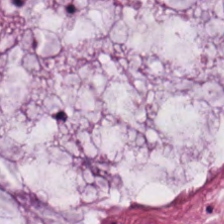Hematoxylin and eosin. 0.5 µm per pixel. Q: Identify the tissue.
A: It is extracellular mucin.
